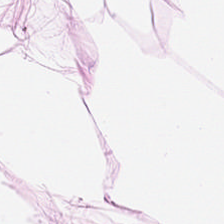Hematoxylin and eosin — Tissue = adipose.
